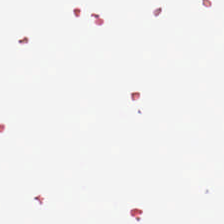No tissue present; background only.
